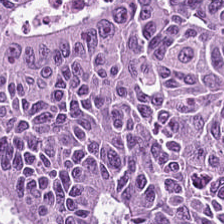Tissue class: colorectal adenocarcinoma.
